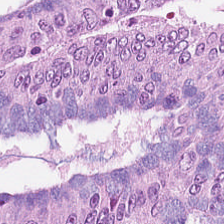Formalin-fixed paraffin-embedded section · brightfield microscopy · hematoxylin and eosin — Finding → tumor epithelium.
